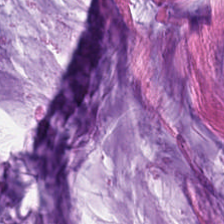H&E stain — Showing extracellular mucin.
